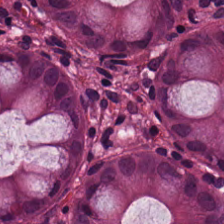H&E stain. This field is non-neoplastic colon mucosa.
